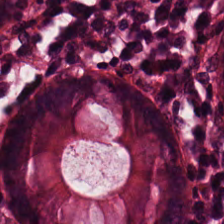H&E stain · brightfield — The tissue is normal colon mucosa.
